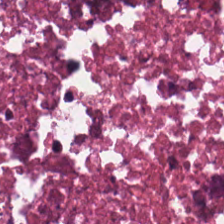Formalin-fixed paraffin-embedded section. H&E-stained tissue section. Tissue type — debris.
